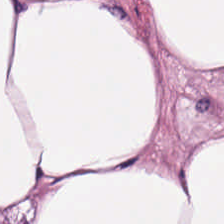Classification: adipose tissue.
